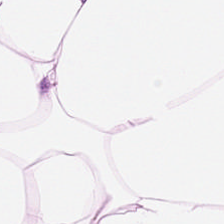Hematoxylin and eosin. 0.5 µm per pixel. Tissue type — adipose tissue.
